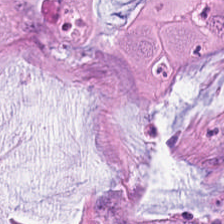224×224 px patch; H&E stain; WSI patch.
{"tissue_type": "mucus"}
